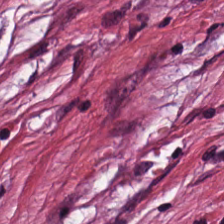Hematoxylin-and-eosin stained section. {"tissue_type": "cancer-associated stroma"}
